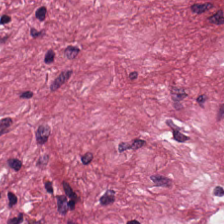Tissue = tumor-associated stroma.
